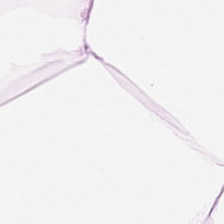Hematoxylin and eosin — Finding → fat tissue.
